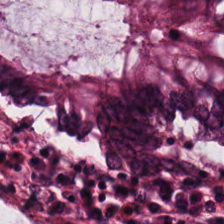Classification — non-neoplastic colon mucosa.
